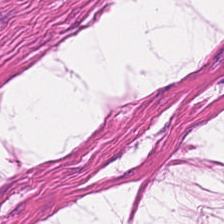H&E patch showing smooth-muscle tissue.
